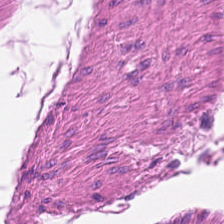Stain: H&E stain.
Acquisition: brightfield.
Tissue: smooth-muscle tissue.
